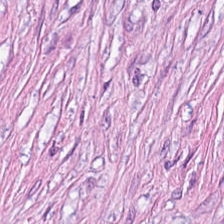H&E-stained tissue section — Classification: tumor-associated stroma.
